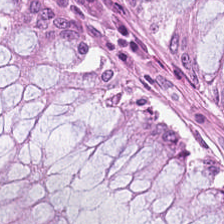Hematoxylin and eosin. Tissue — normal colonic mucosa.
